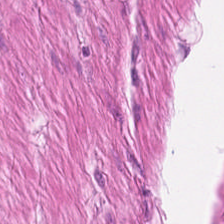Stain: hematoxylin and eosin.
Tissue type: muscularis.
